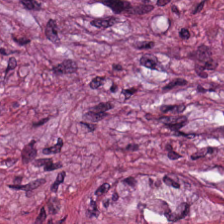Hematoxylin and eosin. This patch shows tumor-associated stroma.
